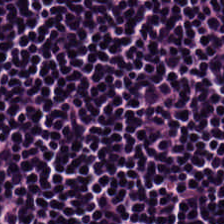FFPE; hematoxylin and eosin.
Q: Classify this patch.
A: Lymphoid infiltrate.
